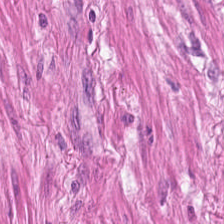Stain: hematoxylin and eosin.
Preparation: formalin-fixed paraffin-embedded section.
Tissue type: smooth-muscle tissue.
